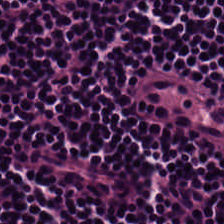Hematoxylin-and-eosin stained section. The tissue here is lymphocyte aggregate.
